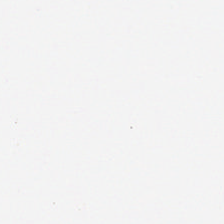Q: What is shown here?
A: The field shows no tissue.
